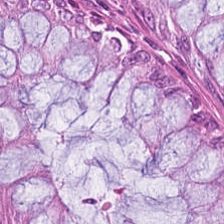Hematoxylin-and-eosin stained section. The tissue here is non-neoplastic colon mucosa.
